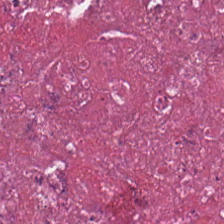Hematoxylin and eosin. Tissue type = debris.
